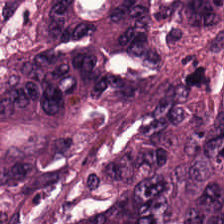H&E stain. Q: What does this patch show?
A: This is colorectal adenocarcinoma epithelium.
